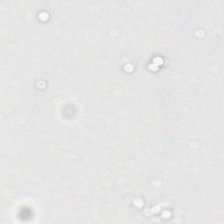Field content: background (no tissue).
